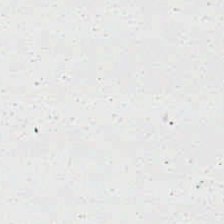H&E-stained tissue section · brightfield · 0.5 µm/px. Background (no tissue).
